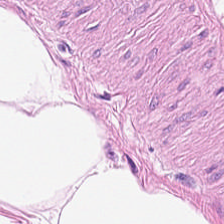Classification — adipose tissue.
